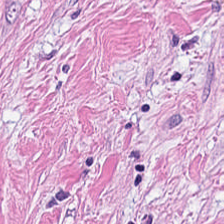H&E. Tumor-associated stroma.
